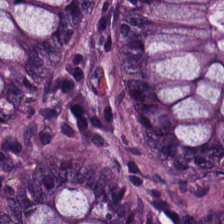H&E stain — Tissue type — normal colon mucosa.
